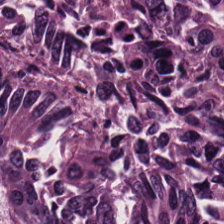H&E. Formalin-fixed paraffin-embedded section. This patch shows adenocarcinoma.
